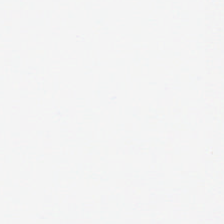Hematoxylin and eosin.
This field is background (no tissue).
